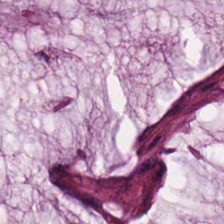H&E — Tissue type = mucin.
